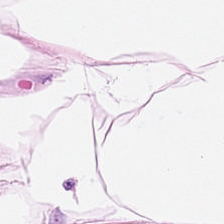FFPE · hematoxylin-and-eosin stained section — Fat tissue.
